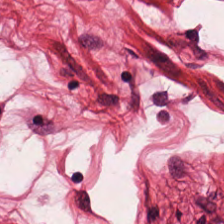Smooth muscle.
